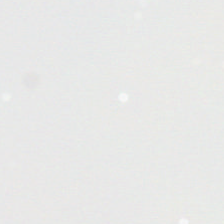224×224 pixel tile; hematoxylin and eosin — Content — background.
